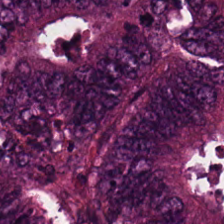Predominantly adenocarcinoma.
